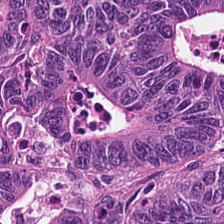224×224 pixel tile · hematoxylin and eosin.
This field is colorectal adenocarcinoma epithelium.
